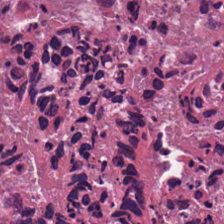Brightfield microscopy. H&E — Showing debris.
